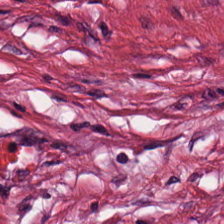Finding — tumor-associated stroma.
